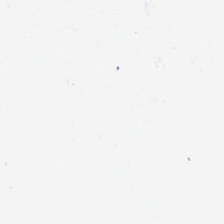H&E — {"content": "background (no tissue)"}
